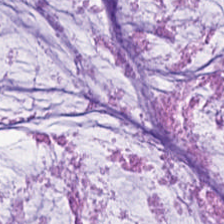Hematoxylin-and-eosin section: extracellular mucin.
